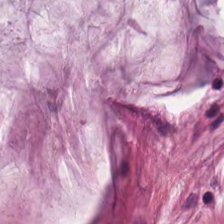H&E stain.
The predominant tissue is extracellular mucin.
